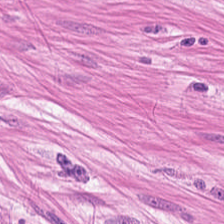Hematoxylin and eosin.
Showing smooth muscle.
